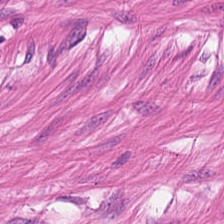WSI patch; FFPE tissue section; H&E-stained tissue section.
Histology → smooth muscle.
